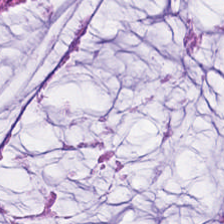FFPE. Hematoxylin and eosin. WSI patch.
Histology — mucin.
